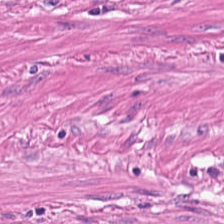H&E-stained tissue section. Q: What is shown here?
A: It is smooth muscle.
